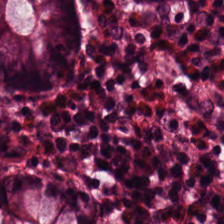FFPE; hematoxylin and eosin — This patch shows benign colonic mucosa.
